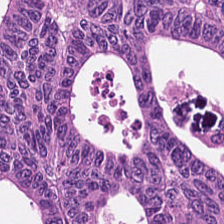H&E.
Predominantly colorectal adenocarcinoma epithelium.
